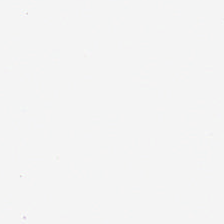H&E-stained tissue section — {"content": "background (no tissue)"}
